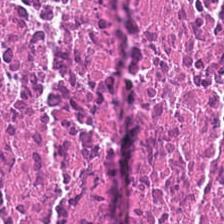Hematoxylin and eosin — Q: What tissue type is shown here?
A: It is debris.
